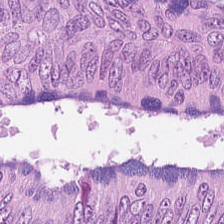Hematoxylin-and-eosin stained section · 0.5 µm/px · FFPE tissue section — Impression — colorectal adenocarcinoma epithelium.
